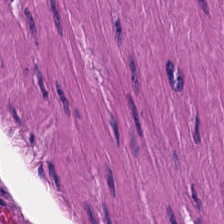Hematoxylin and eosin · FFPE. The tissue here is muscularis.
